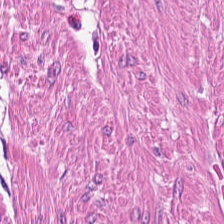Muscularis.
